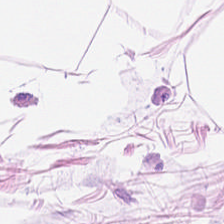H&E-stained tissue section.
This patch shows adipose.
